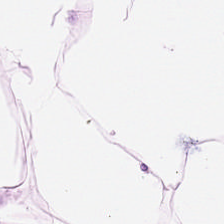H&E-stained tissue section; formalin-fixed paraffin-embedded section — Histology → adipocytes.
